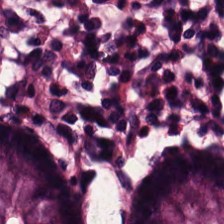FFPE. Hematoxylin-and-eosin stained section.
Q: Identify the tissue.
A: This is normal colonic mucosa.
